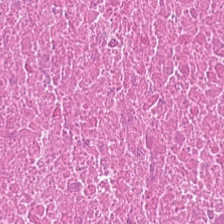H&E; 0.5 microns per pixel. {"tissue_type": "debris"}
